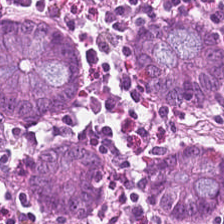Finding — normal colonic mucosa.
